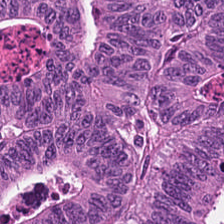H&E-stained section; the field shows malignant epithelium.
